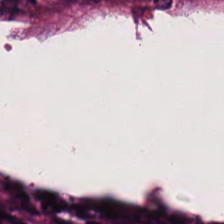H&E stain.
Tissue — malignant epithelium.
